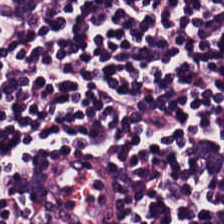Stain: H&E stain.
Tissue: lymphocytic infiltrate.
